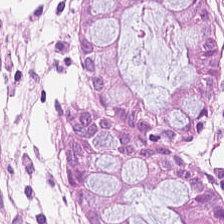224×224 pixel tile · H&E-stained tissue section — Tissue = non-neoplastic colon mucosa.
